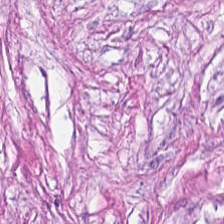Predominantly tumor stroma.
